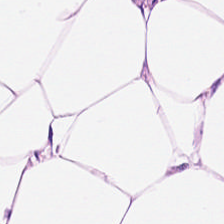Tissue type = adipose tissue.
